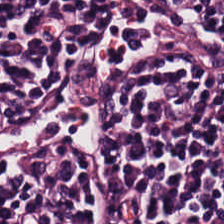H&E — Q: What type of tissue is this?
A: Lymphocyte aggregate.
